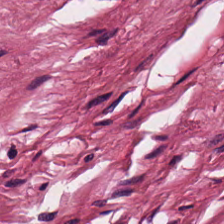H&E stain; 224×224 pixel tile; FFPE.
This field is desmoplastic stroma.
